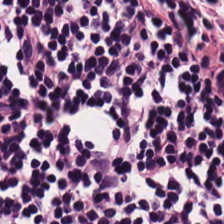Hematoxylin-and-eosin stained section · 224×224 pixel tile · FFPE tissue section. {"tissue_type": "lymphoid infiltrate"}
